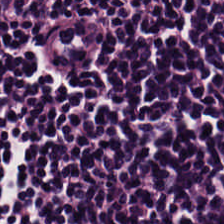H&E-stained tissue section showing lymphocyte aggregate.
